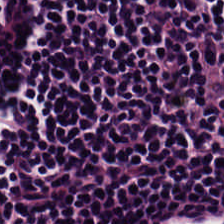Stain: hematoxylin and eosin.
Predominant tissue: lymphocytic infiltrate.
